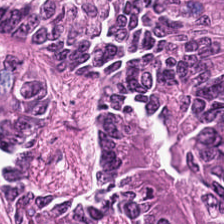H&E-stained tissue section. Formalin-fixed paraffin-embedded section.
Tissue class — adenocarcinoma.
